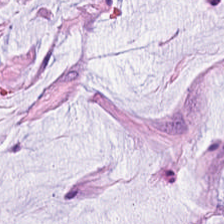H&E — Q: What type of tissue is this?
A: It is extracellular mucin.
